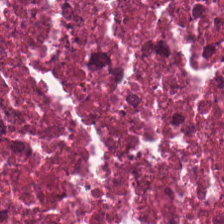H&E. Finding — necrotic debris.
